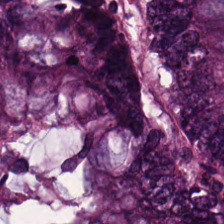Finding — adenocarcinoma.
